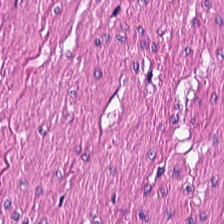H&E-stained tissue section.
Q: Identify the tissue.
A: This is smooth-muscle tissue.
